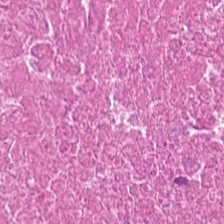224×224 px tile; H&E; WSI patch. Q: What type of tissue is this?
A: Debris.
